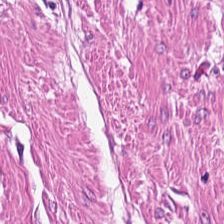0.5 microns per pixel · hematoxylin-and-eosin stained section — Predominant tissue — smooth-muscle tissue.
